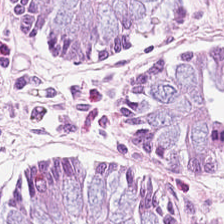224×224 px tile · H&E stain — Q: Identify the tissue.
A: The field shows non-neoplastic colon mucosa.
